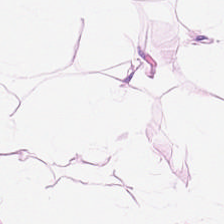Tissue type — adipocytes.
